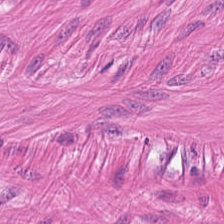0.5 microns per pixel. H&E-stained tissue section — Predominantly smooth muscle.
